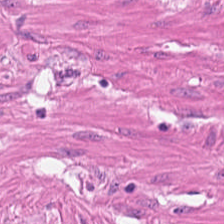Stain: H&E stain.
Tile size: 224×224 px patch.
Tissue class: muscularis.
